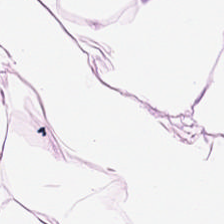Whole-slide-image patch. Hematoxylin and eosin — The tissue here is adipose.
